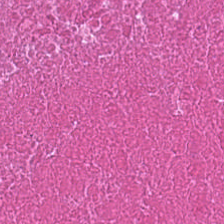Stain: hematoxylin and eosin.
Classification: debris.
